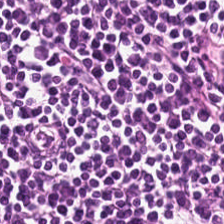0.5 µm/px. FFPE. H&E stain — Q: What does this patch show?
A: The field shows lymphoid infiltrate.
